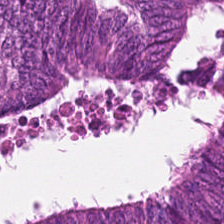H&E stain; 0.5 µm/px. Tissue type: adenocarcinoma.
